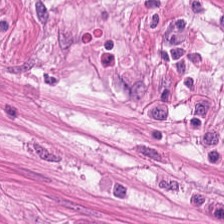H&E-stained tissue section — This patch shows smooth-muscle tissue.
